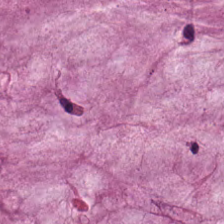Hematoxylin and eosin.
Predominantly mucus.
